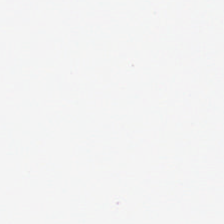Stain: H&E-stained tissue section.
Content: background.
